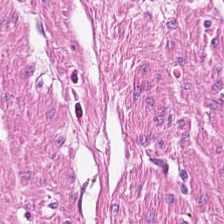H&E stain. 0.5 µm/px.
Impression — muscularis.
